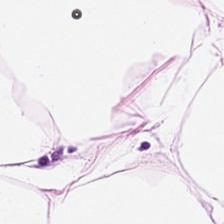Hematoxylin and eosin. Predominantly adipocytes.
